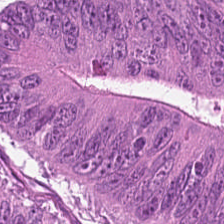{"tissue_type": "adenocarcinoma"}
